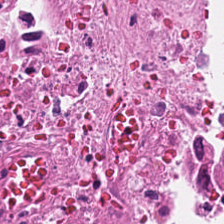This patch shows debris.
